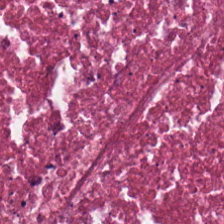H&E-stained tissue section showing debris.
